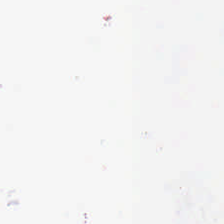0.5 microns per pixel. Brightfield microscopy. H&E stain. {"content": "background"}
